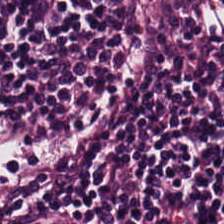FFPE; hematoxylin-and-eosin stained section.
Showing lymphocyte aggregate.
